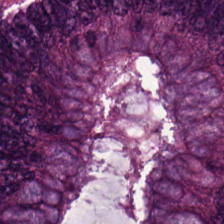Tissue type — tumor epithelium.
